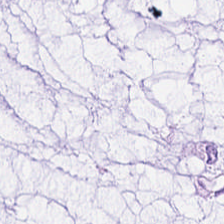FFPE tissue section; 0.5 µm per pixel; H&E.
The tissue is mucus.
